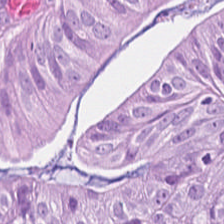FFPE tissue section · hematoxylin-and-eosin stained section — This field is colorectal adenocarcinoma epithelium.
